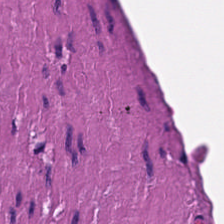0.5 microns per pixel. Hematoxylin-and-eosin stained section. 224×224 px patch — The tissue is smooth muscle.
